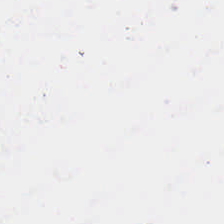Field content = no tissue.
